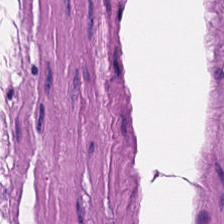{"tissue_type": "smooth muscle"}
